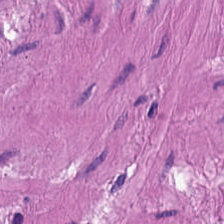H&E — The tissue type is smooth muscle.
